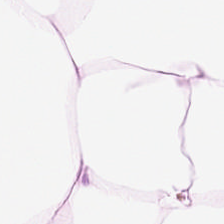224×224 px tile; hematoxylin-and-eosin stained section.
This field is adipocytes.
